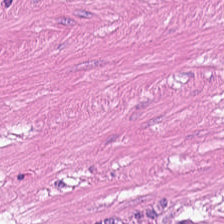Tissue class — smooth-muscle tissue.
